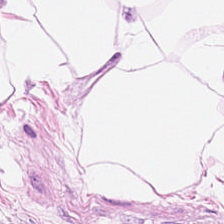224×224 px patch; H&E-stained tissue section; WSI patch. Predominant tissue: fat tissue.
